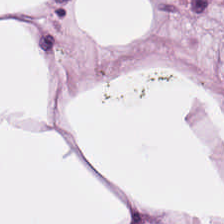Stain: H&E-stained tissue section.
Acquisition: WSI patch.
Resolution: 20× equivalent magnification.
Predominant tissue: adipose tissue.
